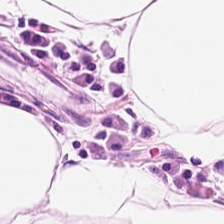H&E-stained tissue section — The tissue class is adipose tissue.
